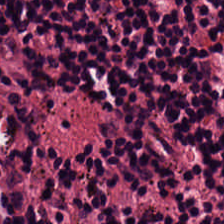H&E-stained tissue section · 224×224 pixel tile.
Q: What is shown in this field?
A: The field shows lymphoid infiltrate.
